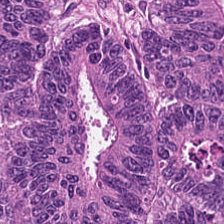Stain: hematoxylin and eosin.
Resolution: 20× equivalent magnification.
Classification: malignant epithelium.
